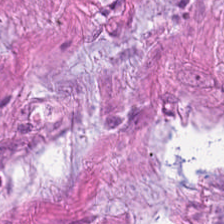Impression — smooth-muscle tissue.
